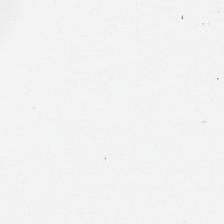H&E stain. 224×224 px patch. Q: What is shown here?
A: The field shows no tissue.
